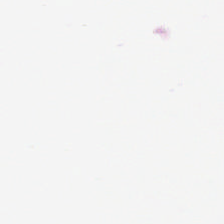Stain: H&E.
Content: empty background.
